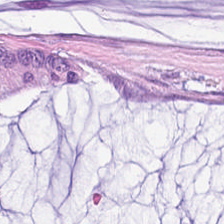Showing mucin.
